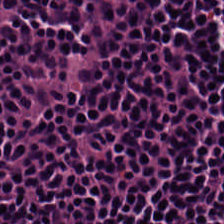FFPE tissue section · H&E — The tissue here is lymphocytic infiltrate.
